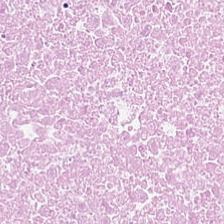H&E-stained tissue section — This patch shows necrotic debris.
